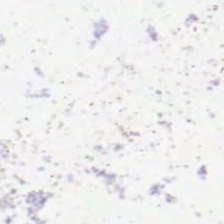Field content — background (no tissue).
